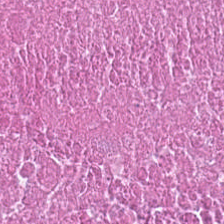Q: What is shown in this field?
A: Necrotic debris.
